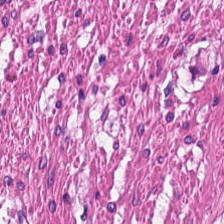H&E-stained tissue section · 224×224 pixel tile.
The predominant tissue is smooth muscle.
